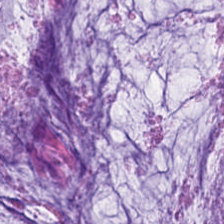H&E stain — Classification: mucin.
